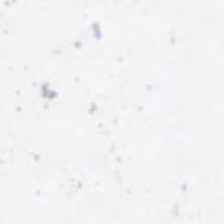Stain: H&E-stained tissue section.
Classification: background (no tissue).
